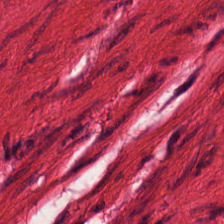Stain: H&E-stained tissue section.
Preparation: formalin-fixed paraffin-embedded section.
Tissue: smooth muscle.
